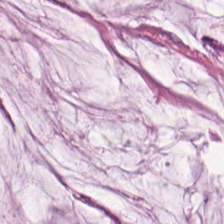H&E stain. Showing mucin.
